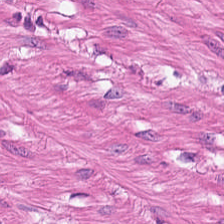H&E stain; 224×224 px tile — Q: What tissue type is shown here?
A: Smooth muscle.
